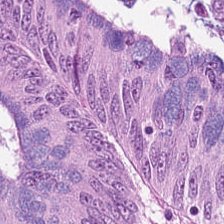H&E-stained tissue section. Predominantly tumor epithelium.
